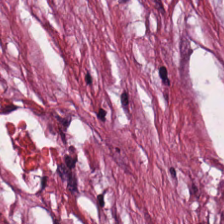This patch shows cancer-associated stroma.
